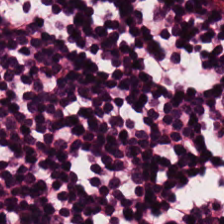Stain: hematoxylin-and-eosin stained section.
Classification: lymphocytes.
